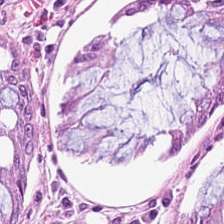20× equivalent magnification. H&E stain. 224×224 px tile — This field is normal colonic mucosa.
